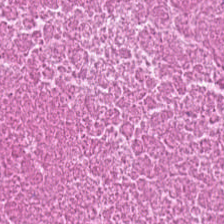Hematoxylin-and-eosin stained section; FFPE; brightfield. The tissue here is cellular debris.
